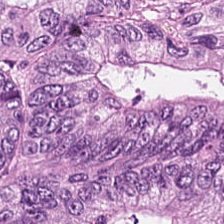H&E-stained tissue section.
The predominant tissue is colorectal adenocarcinoma epithelium.
